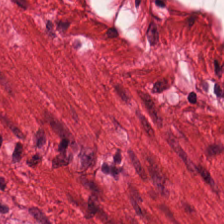H&E stain — Predominant tissue — smooth-muscle tissue.
